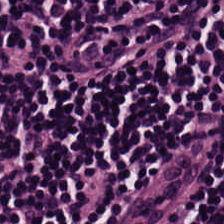Hematoxylin and eosin — This field is lymphocytic infiltrate.
